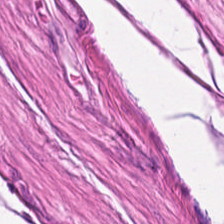Stain: H&E stain.
Classification: smooth muscle.
